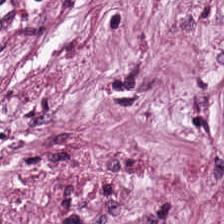H&E-stained tissue section. Histology — desmoplastic stroma.
